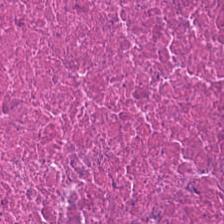Predominant tissue = debris.
